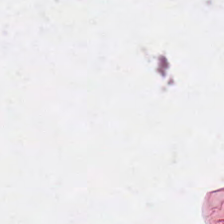Stain: H&E stain.
Content: background.
